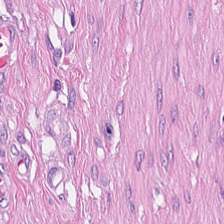H&E-stained tissue section. Desmoplastic stroma.
